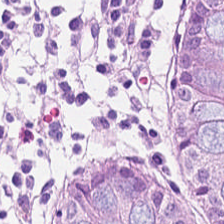Hematoxylin and eosin — The tissue here is normal colonic mucosa.
